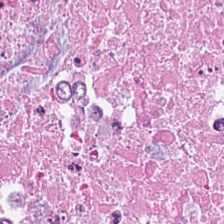This patch shows cellular debris.
